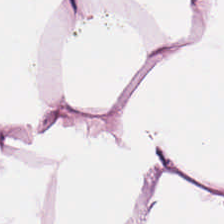20× equivalent magnification; hematoxylin-and-eosin stained section. Histology — adipose tissue.
